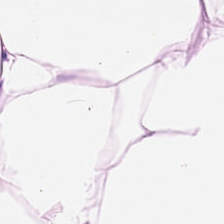224×224 px patch; FFPE tissue section; H&E stain — The predominant tissue is adipose.
